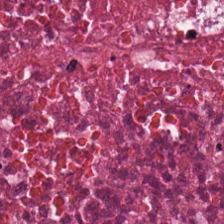H&E stain. Histology — debris.
